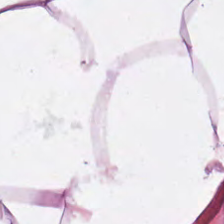Tissue class: adipose tissue.
